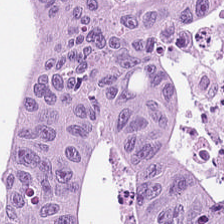H&E. WSI patch — Tissue class = malignant epithelium.
